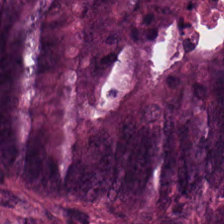H&E stain; 0.5 microns per pixel — The tissue is colorectal adenocarcinoma.
